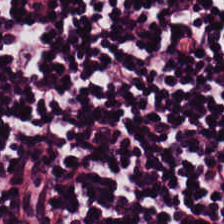Hematoxylin and eosin.
The predominant tissue is lymphocyte aggregate.
